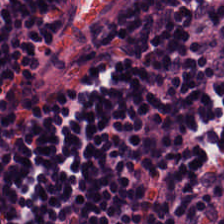Q: What tissue type is shown here?
A: This is lymphocytic infiltrate.
